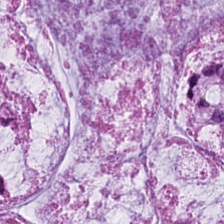H&E. Showing extracellular mucin.
